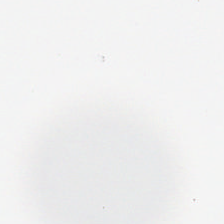H&E-stained tissue section — Q: What is shown in this field?
A: The field shows no tissue.
